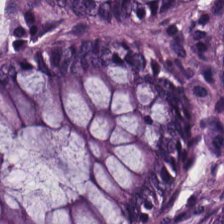H&E. Predominantly non-neoplastic colon mucosa.
